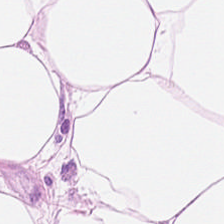Hematoxylin-and-eosin stained section. This field is adipose.
